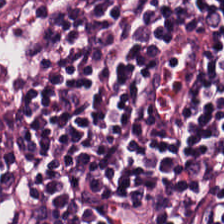Tissue class: lymphocyte aggregate.
